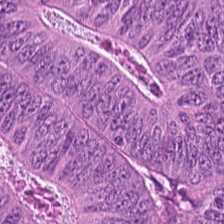Tissue class = colorectal adenocarcinoma epithelium.
